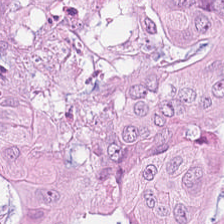H&E-stained tissue section showing colorectal adenocarcinoma.
